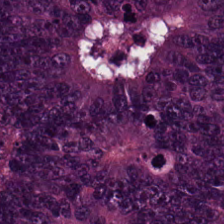Brightfield microscopy; 224×224 px tile; hematoxylin and eosin — Tissue type = colorectal adenocarcinoma epithelium.
